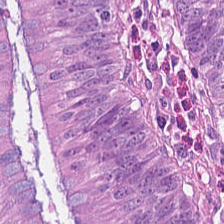Brightfield; H&E-stained tissue section; 224×224 px tile.
Tissue class — colorectal adenocarcinoma epithelium.
